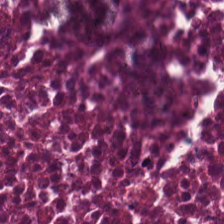0.5 microns per pixel; H&E-stained tissue section; 224×224 pixel tile.
This patch shows debris.
